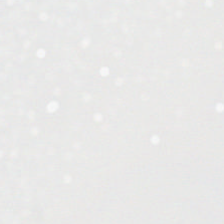Stain: H&E-stained tissue section.
Resolution: 20× equivalent magnification.
Classification: no tissue.
